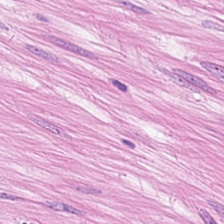Tissue type — muscularis.
